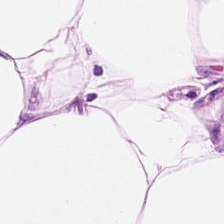224×224 px tile. Hematoxylin-and-eosin stained section. FFPE. Q: Classify this patch.
A: It is adipocytes.
